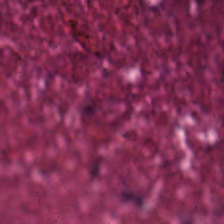Stain: H&E-stained tissue section.
Tissue: cellular debris.
